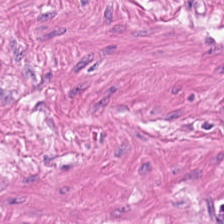H&E — muscularis.
